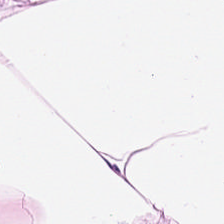Hematoxylin-and-eosin stained section. 0.5 µm/px — Classification — adipose.
